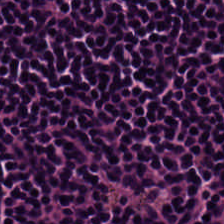Showing lymphocytic infiltrate.
